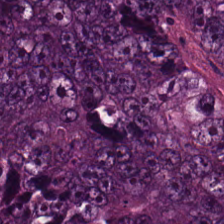0.5 microns per pixel. H&E stain. FFPE tissue section. {"tissue_type": "tumor epithelium"}
